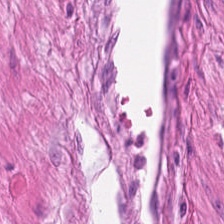Hematoxylin and eosin. The predominant tissue is smooth muscle.
